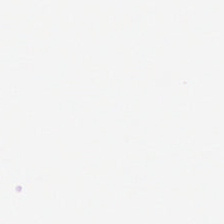FFPE · hematoxylin and eosin. Content = empty background.
